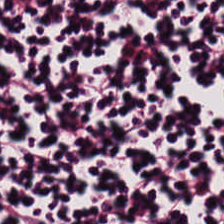Brightfield. H&E stain.
This field is lymphocyte aggregate.
